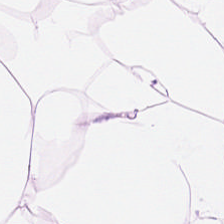Stain: H&E-stained tissue section.
Resolution: 20× equivalent magnification.
Tile size: 224×224 px tile.
Predominant tissue: adipose.
